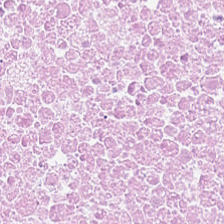H&E stain — Predominant tissue: cellular debris.
